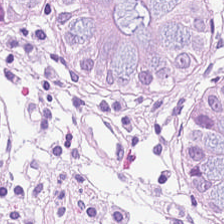224×224 px patch · H&E stain.
Predominantly normal colonic mucosa.
